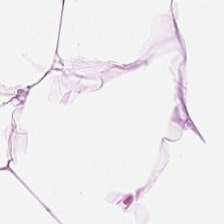H&E stain; whole-slide-image patch; 0.5 µm/px — The tissue type is adipocytes.
